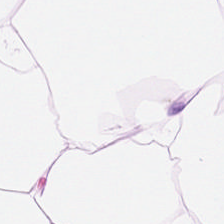Predominant tissue = fat tissue.
